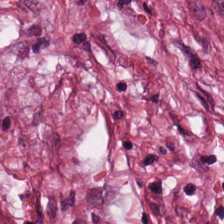H&E stain — Predominant tissue — tumor-associated stroma.
